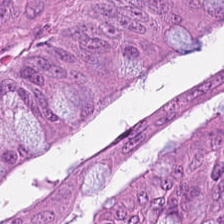Stain: hematoxylin-and-eosin stained section.
Acquisition: brightfield microscopy.
Classification: colorectal adenocarcinoma epithelium.
